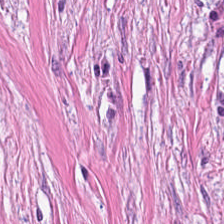0.5 µm/px · hematoxylin and eosin. This field is tumor-associated stroma.
